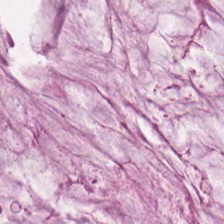H&E · brightfield microscopy. The predominant tissue is extracellular mucin.
